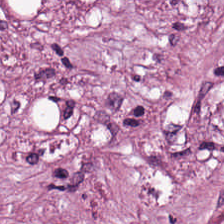Hematoxylin-and-eosin stained section — Q: What is shown in this field?
A: It is tumor stroma.
